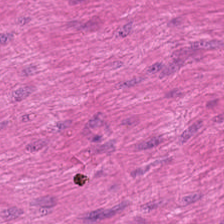H&E.
Predominant tissue — smooth-muscle tissue.
